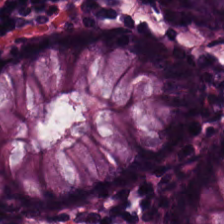Hematoxylin-and-eosin stained section.
Finding — non-neoplastic colon mucosa.
